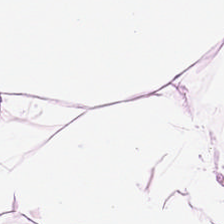H&E-stained tissue section · 224×224 pixel tile.
Tissue type: adipocytes.
